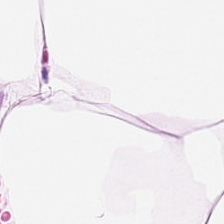H&E; FFPE tissue section; whole-slide-image patch. {"tissue_type": "fat tissue"}
